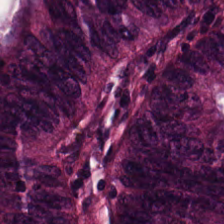Hematoxylin-and-eosin stained section; brightfield; formalin-fixed paraffin-embedded section. Q: What tissue is shown?
A: This is colorectal adenocarcinoma.
